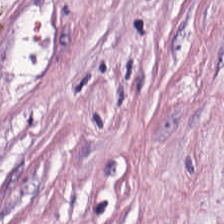H&E · brightfield microscopy · FFPE.
{"tissue_type": "tumor stroma"}
